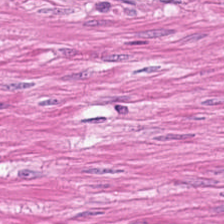0.5 microns per pixel · hematoxylin and eosin. The predominant tissue is muscularis.
